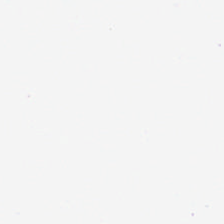Finding → no tissue.
